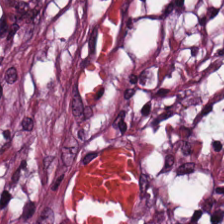0.5 microns per pixel · 224×224 px patch · H&E. Q: What is shown in this field?
A: This is cancer-associated stroma.
